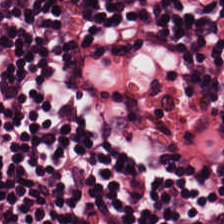This field is lymphocyte aggregate.
